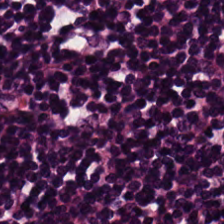Hematoxylin and eosin. 20× equivalent magnification. Formalin-fixed paraffin-embedded section. Predominantly lymphocytes.
